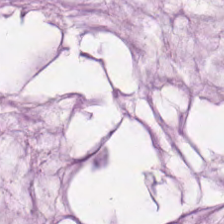H&E · WSI patch · FFPE.
Q: What is shown in this field?
A: The field shows mucin.
